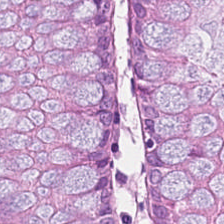H&E-stained tissue section.
Tissue class = normal colon mucosa.
